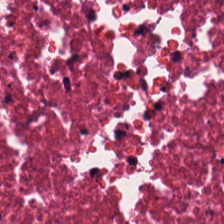Stain: H&E.
Tissue class: cellular debris.
